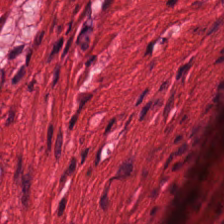Q: What tissue type is shown here?
A: It is smooth muscle.
